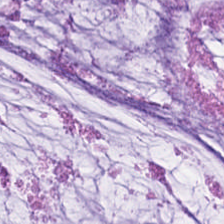Stain: hematoxylin-and-eosin stained section.
Tissue class: mucin.
